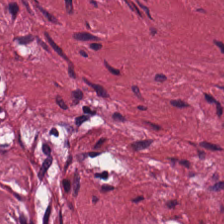Q: What does this patch show?
A: This is cancer-associated stroma.
